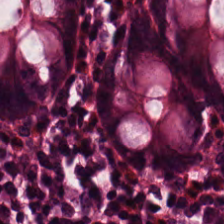H&E stain.
Tissue type: non-neoplastic colon mucosa.
